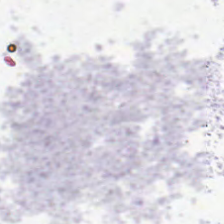FFPE tissue section; H&E.
This patch shows no tissue.
